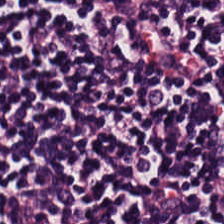H&E-stained tissue section — Lymphocytic infiltrate.
